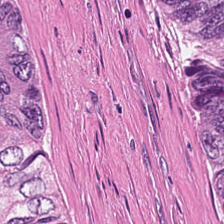Hematoxylin and eosin · whole-slide-image patch · 224×224 px tile — Debris.
